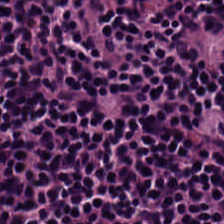Hematoxylin-and-eosin stained section; WSI patch; formalin-fixed paraffin-embedded section. The tissue here is lymphocytic infiltrate.
